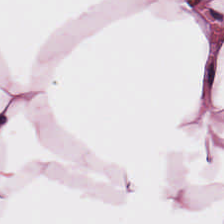Stain: hematoxylin and eosin.
Acquisition: whole-slide-image patch.
Tissue class: fat tissue.
